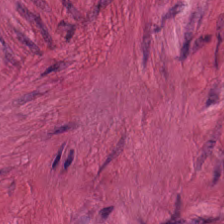H&E-stained tissue section. Impression → smooth-muscle tissue.
